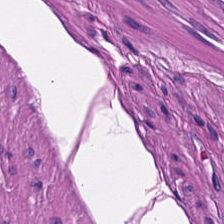Formalin-fixed paraffin-embedded section. Hematoxylin-and-eosin stained section. Brightfield microscopy — Q: What is shown in this field?
A: It is smooth-muscle tissue.
